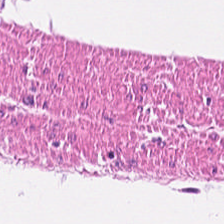Q: What type of tissue is this?
A: This is muscularis.
